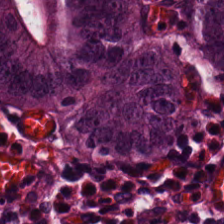H&E stain — This patch shows adenocarcinoma.
